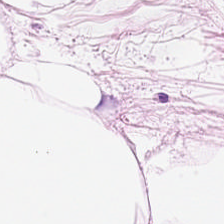0.5 µm/px · hematoxylin-and-eosin stained section · 224×224 pixel tile — {"tissue_type": "adipose"}
